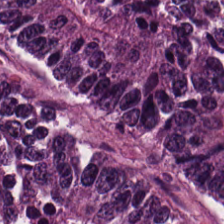Stain: H&E-stained tissue section.
Predominant tissue: colorectal adenocarcinoma.
